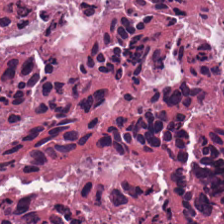Stain: H&E stain.
Tissue: cellular debris.
